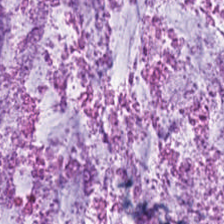0.5 µm per pixel. Hematoxylin-and-eosin stained section. FFPE tissue section. Q: What tissue type is shown here?
A: This is extracellular mucin.
